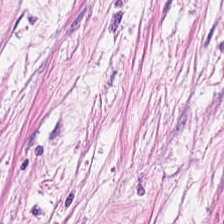Hematoxylin and eosin.
{"tissue_type": "cancer-associated stroma"}
